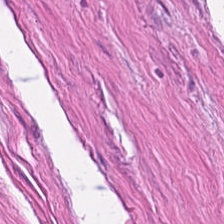Stain: H&E stain.
Classification: smooth muscle.
